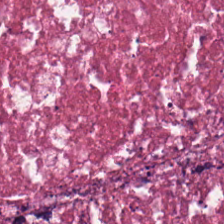Stain: H&E stain.
Tissue class: necrotic debris.
